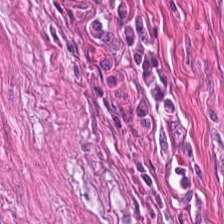Brightfield microscopy; FFPE; H&E-stained tissue section.
{"tissue_type": "smooth muscle"}
